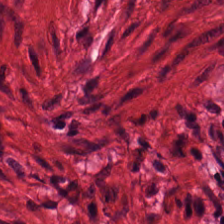H&E-stained tissue section showing muscularis.
